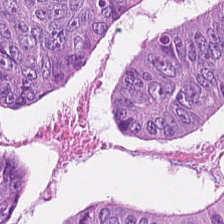H&E stain — Finding → malignant epithelium.
